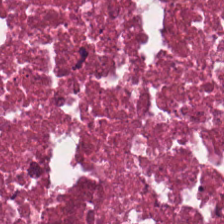H&E — Q: What is shown here?
A: Debris.
